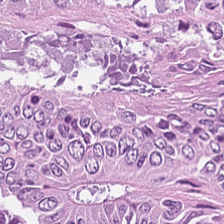Stain: hematoxylin-and-eosin stained section.
Predominant tissue: adenocarcinoma.
